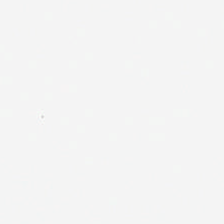Hematoxylin and eosin.
The field content is no tissue.
